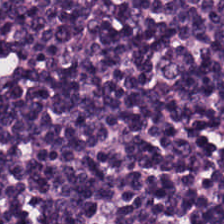H&E-stained tissue section.
Lymphocytes.
